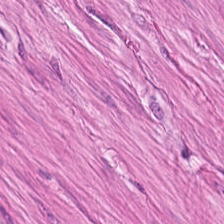Hematoxylin and eosin. Tissue type = muscularis.
